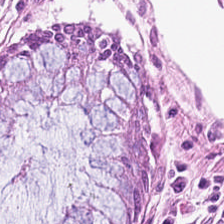Brightfield · H&E. This field is non-neoplastic colon mucosa.
